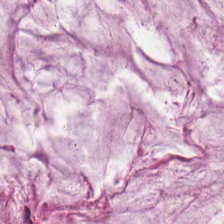The predominant tissue is mucin.
